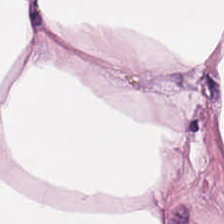Hematoxylin and eosin — The tissue type is fat tissue.
